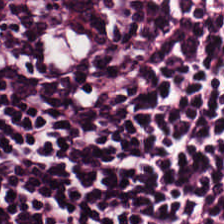H&E-stained tissue section.
Histology — lymphocyte aggregate.
